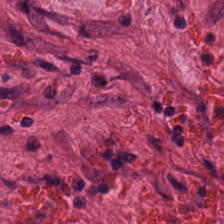H&E.
Impression — desmoplastic stroma.
